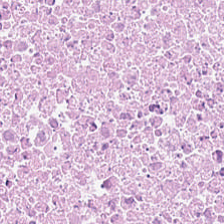224×224 px tile · H&E-stained tissue section. Necrotic debris.
